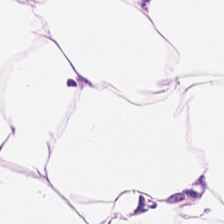FFPE. H&E-stained tissue section. 0.5 microns per pixel — Showing fat tissue.
